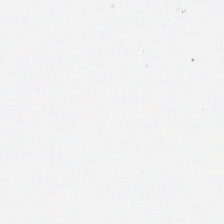H&E-stained tissue section — This field is background (no tissue).
